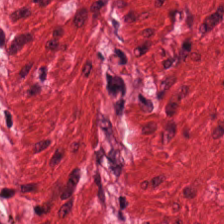224×224 pixel tile; hematoxylin and eosin. Impression — smooth muscle.
